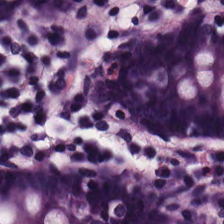20× equivalent magnification. FFPE. Hematoxylin-and-eosin stained section.
The classification is normal colonic mucosa.
